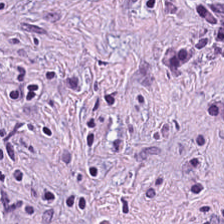H&E stain.
Tissue — tumor-associated stroma.
